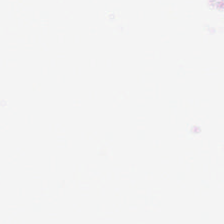Hematoxylin-and-eosin stained section. The content is empty background.
